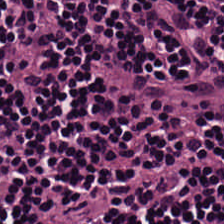Stain: H&E-stained tissue section.
Tissue: lymphocyte aggregate.
